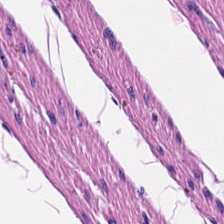H&E-stained tissue section.
Tissue class = muscularis.
